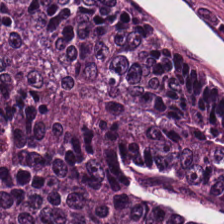H&E — Showing colorectal adenocarcinoma epithelium.
